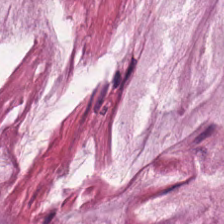Q: What is shown here?
A: Mucus.
